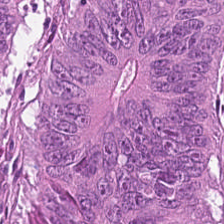0.5 microns per pixel. H&E-stained tissue section.
Classification: colorectal adenocarcinoma epithelium.
